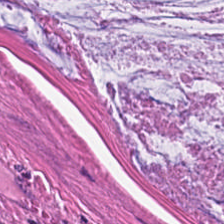Hematoxylin and eosin. FFPE.
Finding → extracellular mucin.
